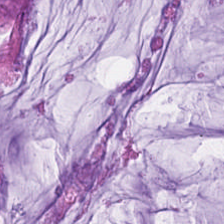Q: What is shown here?
A: The field shows extracellular mucin.
